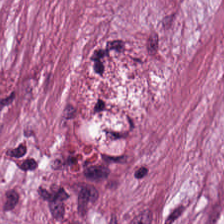Hematoxylin and eosin.
{"tissue_type": "cancer-associated stroma"}
